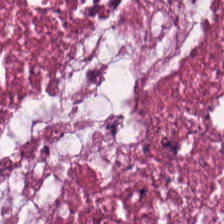224×224 px tile; FFPE tissue section; H&E.
Tissue: debris.
